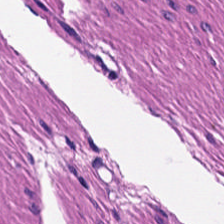Stain: H&E stain.
Tile size: 224×224 px tile.
Classification: muscularis.
